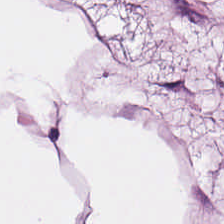Tissue = adipocytes.
